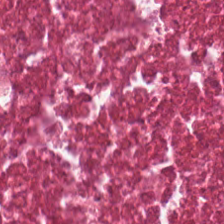Hematoxylin-and-eosin stained section · brightfield · 224×224 px tile — Tissue type = cellular debris.
